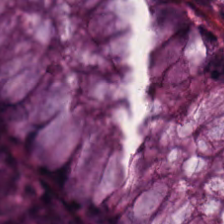H&E stain.
Q: What is shown here?
A: This is normal colonic mucosa.
